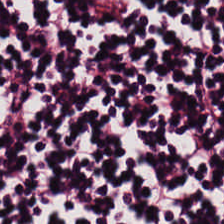H&E-stained tissue section; brightfield — {"tissue_type": "lymphocytic infiltrate"}
